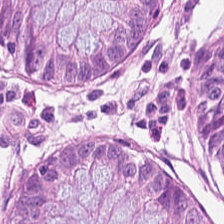224×224 pixel tile; H&E stain. This patch shows normal colonic mucosa.
